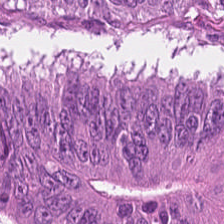H&E stain · FFPE · 0.5 µm per pixel.
{"tissue_type": "colorectal adenocarcinoma"}
